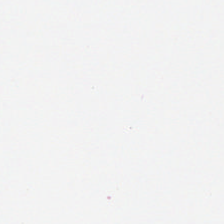FFPE; H&E-stained tissue section.
This field is background (no tissue).
